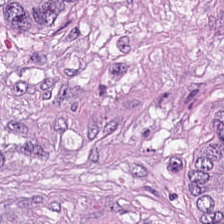Brightfield · 224×224 px tile · H&E-stained tissue section — Q: What is the predominant tissue type?
A: This is colorectal adenocarcinoma.
